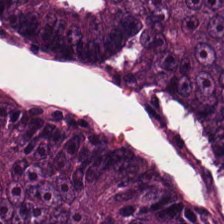H&E; 224×224 pixel tile.
The predominant tissue is malignant epithelium.
